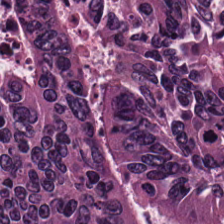Hematoxylin and eosin.
Tissue = adenocarcinoma.
